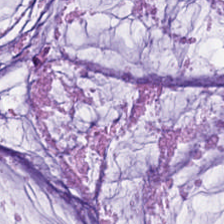H&E stain.
Tissue class = extracellular mucin.
